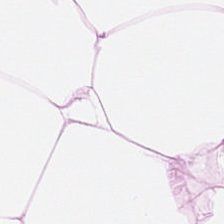Hematoxylin-and-eosin stained section — Showing adipocytes.
